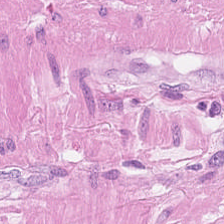FFPE tissue section. H&E-stained tissue section. 0.5 µm per pixel. Q: What tissue is shown?
A: This is muscularis.
